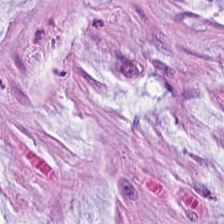Brightfield microscopy · hematoxylin-and-eosin stained section — Predominantly extracellular mucin.
